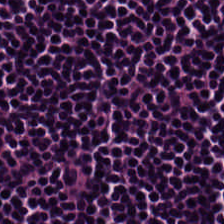Hematoxylin-and-eosin stained section.
The tissue here is lymphocytic infiltrate.
